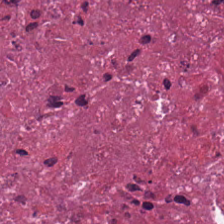H&E-stained tissue section — Histology → necrotic debris.
